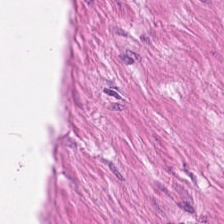FFPE tissue section; H&E stain — Predominant tissue = smooth-muscle tissue.
